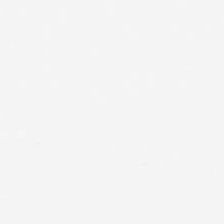224×224 px tile. H&E stain.
Field content: no tissue.
